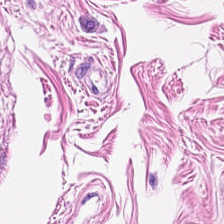Finding → muscularis.
